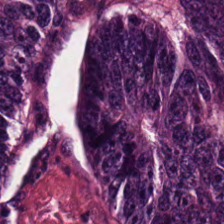H&E-stained tissue section — The predominant tissue is adenocarcinoma.
